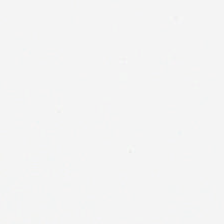Hematoxylin and eosin — This patch shows background (no tissue).
